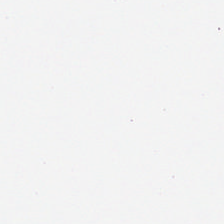Stain: H&E-stained tissue section.
Content: background (no tissue).
